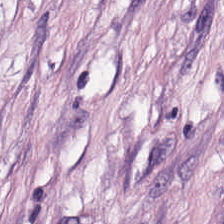Whole-slide-image patch. H&E-stained tissue section.
Histology — cancer-associated stroma.
